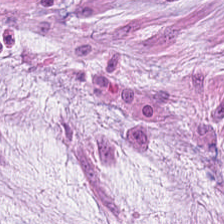224×224 px patch. 0.5 µm/px. Hematoxylin and eosin. The tissue is extracellular mucin.
